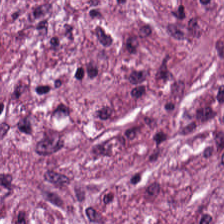Hematoxylin-and-eosin stained section. Histology → tumor-associated stroma.
